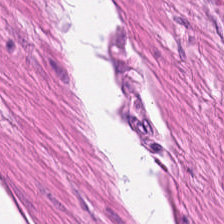224×224 pixel tile · 0.5 µm/px · hematoxylin-and-eosin stained section. The tissue here is muscularis.
